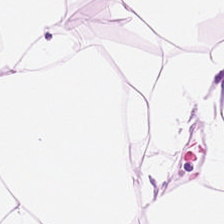224×224 px tile; H&E stain; formalin-fixed paraffin-embedded section.
Predominantly adipose tissue.
